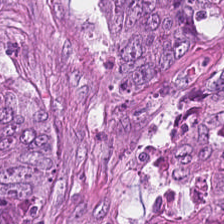0.5 µm/px; H&E stain. The tissue here is colorectal adenocarcinoma epithelium.
